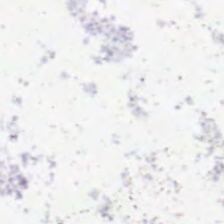Formalin-fixed paraffin-embedded section; H&E — This field is background (no tissue).
